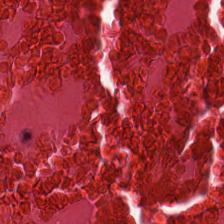Whole-slide-image patch. H&E stain — Showing cellular debris.
